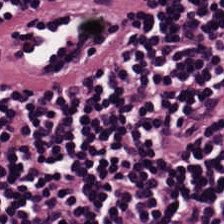Stain: H&E-stained tissue section.
Predominant tissue: lymphoid infiltrate.
